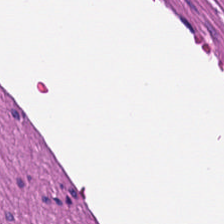Hematoxylin-and-eosin stained section — Tissue type: smooth-muscle tissue.
